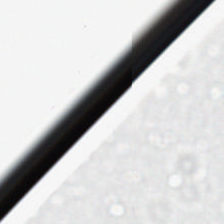0.5 microns per pixel · H&E.
Content: no tissue.
